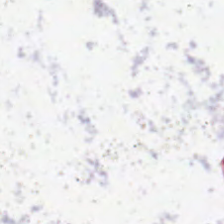Formalin-fixed paraffin-embedded section; hematoxylin-and-eosin stained section.
Q: What is shown here?
A: The field shows empty background.
